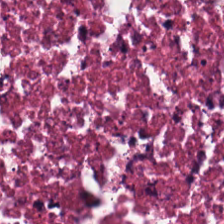Showing necrotic debris.
